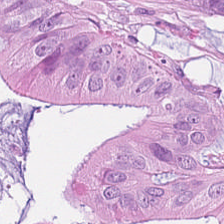H&E-stained tissue section · 20× equivalent magnification · 224×224 pixel tile. Predominant tissue: malignant epithelium.
